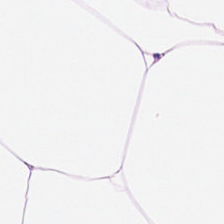Hematoxylin-and-eosin stained section.
The predominant tissue is adipocytes.
